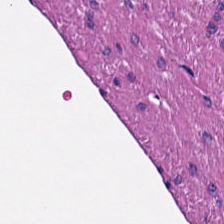0.5 microns per pixel. Hematoxylin-and-eosin stained section. FFPE.
{"tissue_type": "smooth muscle"}
